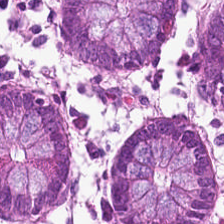Hematoxylin-and-eosin stained section. 224×224 px tile. FFPE tissue section. Classification: benign colonic mucosa.
